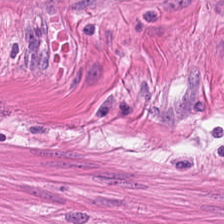Hematoxylin and eosin.
Predominant tissue = smooth muscle.
